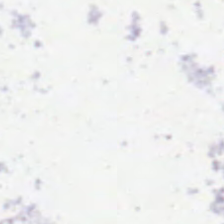H&E-stained tissue section; 224×224 px patch.
Classification: empty background.
